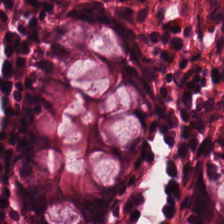H&E stain · 0.5 µm per pixel — Histology — benign colonic mucosa.
